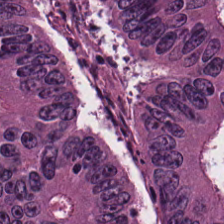H&E-stained tissue section.
Q: What does this patch show?
A: The field shows adenocarcinoma.
